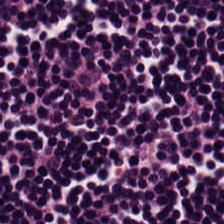H&E-stained tissue section — Q: What tissue is shown?
A: This is lymphocytes.
